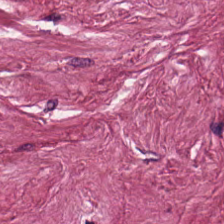H&E-stained tissue section. Predominant tissue = tumor stroma.
